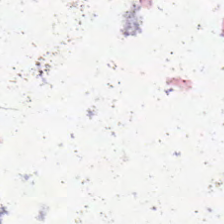Brightfield; H&E-stained tissue section — Content = background (no tissue).
